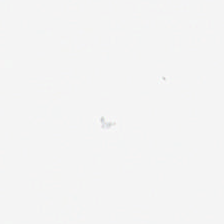H&E-stained tissue section — This field is background (no tissue).
